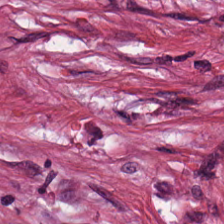H&E stain · 20× equivalent magnification.
Predominantly tumor stroma.
